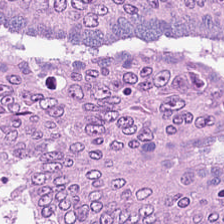Hematoxylin and eosin. Predominantly malignant epithelium.
